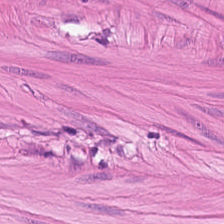224×224 pixel tile · 0.5 µm per pixel · hematoxylin-and-eosin stained section.
Q: Identify the tissue.
A: The field shows smooth muscle.
